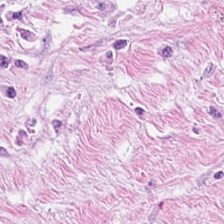Showing desmoplastic stroma.
